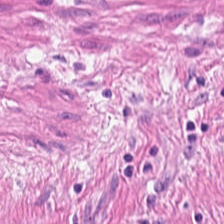Hematoxylin-and-eosin stained section. This field is muscularis.
